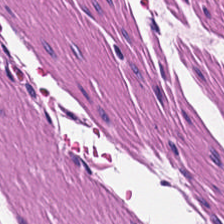H&E stain; brightfield — This patch shows smooth muscle.
